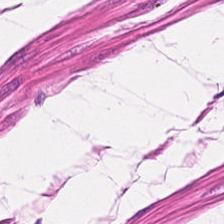H&E; 0.5 µm per pixel. This field is muscularis.
